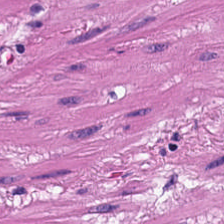Stain: H&E-stained tissue section.
Predominant tissue: smooth-muscle tissue.
